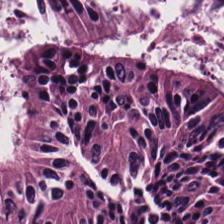H&E stain — Tissue class: colorectal adenocarcinoma.
